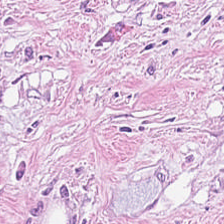Predominantly cancer-associated stroma.
